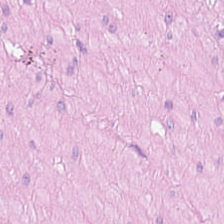224×224 px patch. H&E-stained tissue section. FFPE tissue section. Tissue class = muscularis.
